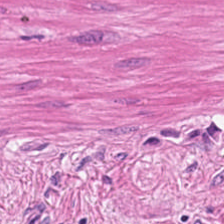Formalin-fixed paraffin-embedded section · 224×224 pixel tile · H&E-stained tissue section.
Q: What type of tissue is this?
A: Smooth-muscle tissue.
